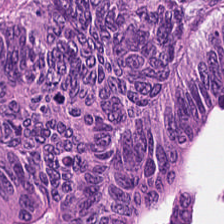Formalin-fixed paraffin-embedded section · H&E. The tissue here is adenocarcinoma.
